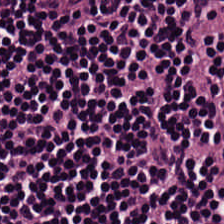Finding — lymphocytic infiltrate.
